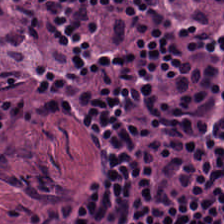Hematoxylin and eosin; brightfield.
The predominant tissue is lymphocyte aggregate.
